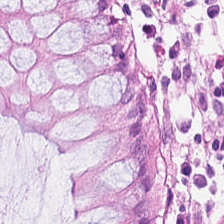H&E stain · 224×224 px patch. Histology → normal colonic mucosa.
